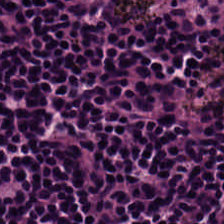H&E stain. 0.5 microns per pixel. 224×224 px tile — Predominant tissue — lymphoid infiltrate.
